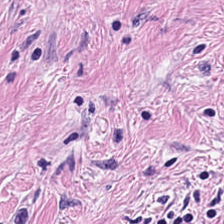Hematoxylin and eosin. 224×224 pixel tile. The tissue here is tumor stroma.
